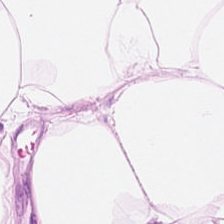Tissue type = adipose.
